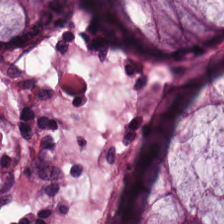Hematoxylin-and-eosin stained section; 224×224 px patch.
{"tissue_type": "normal colon mucosa"}
